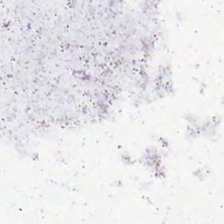Stain: H&E stain.
Classification: no tissue.
